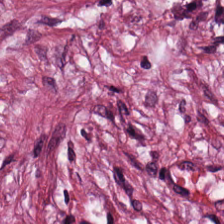Whole-slide-image patch. H&E. FFPE tissue section — This patch shows desmoplastic stroma.
